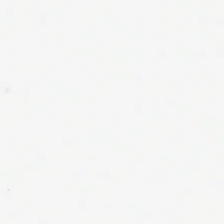Whole-slide-image patch · hematoxylin and eosin. {"content": "background (no tissue)"}
